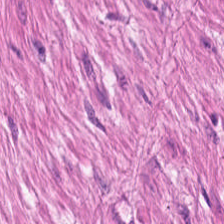Hematoxylin-and-eosin stained section. Classification: smooth-muscle tissue.
